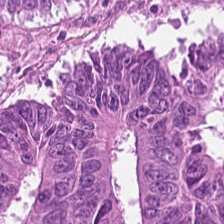224×224 pixel tile; hematoxylin and eosin.
The predominant tissue is colorectal adenocarcinoma.
